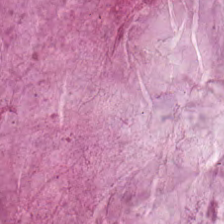The predominant tissue is mucus.
